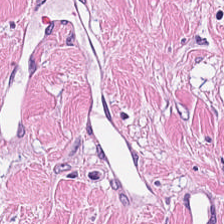H&E stain. Showing tumor stroma.
